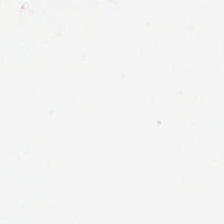No tissue present; background only.
